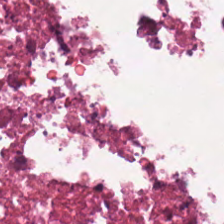Hematoxylin-and-eosin stained section. This field is cellular debris.
